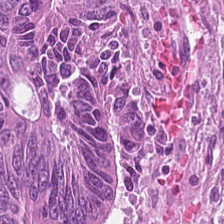H&E-stained tissue section; FFPE tissue section.
This field is tumor epithelium.
